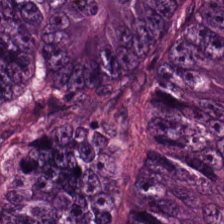Q: What is the predominant tissue type?
A: The field shows tumor epithelium.
